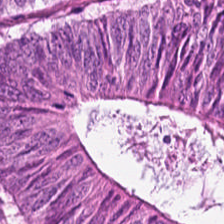H&E-stained tissue section showing colorectal adenocarcinoma epithelium.
